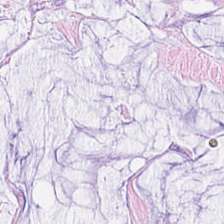H&E stain · 224×224 pixel tile.
Showing mucus.
